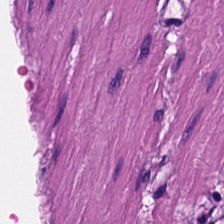Brightfield · H&E · 224×224 pixel tile.
Tissue type = muscularis.
